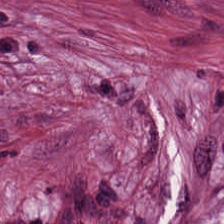Tumor stroma.
